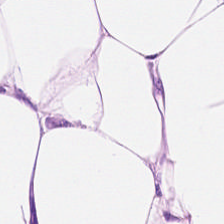H&E. Adipocytes.
